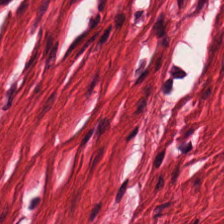FFPE tissue section; hematoxylin-and-eosin stained section — Tissue — smooth-muscle tissue.
